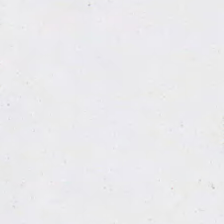Stain: H&E-stained tissue section.
Preparation: formalin-fixed paraffin-embedded section.
Classification: background.
